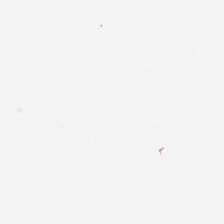224×224 px patch · H&E · whole-slide-image patch — Background — no tissue in this field.
